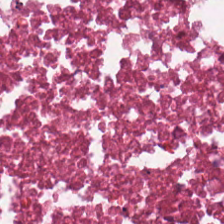224×224 px patch · H&E stain · FFPE tissue section — Q: What is the predominant tissue type?
A: Cellular debris.
